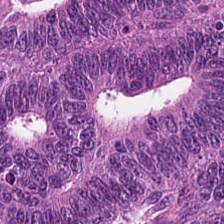0.5 µm per pixel · brightfield · hematoxylin and eosin.
Predominantly malignant epithelium.
